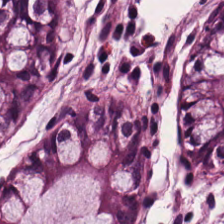The tissue is non-neoplastic colon mucosa.
